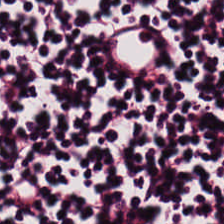Q: What tissue type is shown here?
A: The field shows lymphoid infiltrate.
